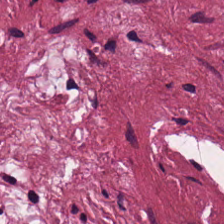H&E-stained tissue section; FFPE.
Classification — tumor-associated stroma.
